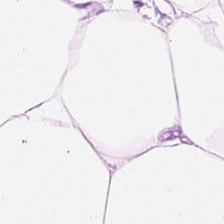The predominant tissue is adipose tissue.
